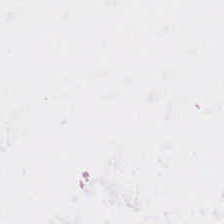FFPE tissue section; 20× equivalent magnification; H&E stain. Empty field — empty background.
